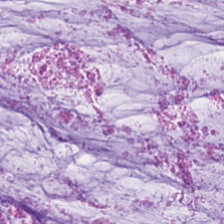Tissue type: mucin.
